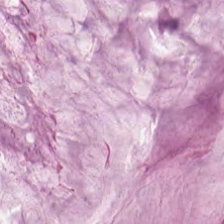H&E — The tissue here is extracellular mucin.
